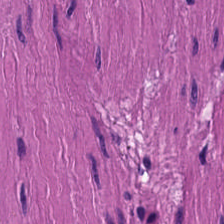224×224 px tile. Hematoxylin and eosin — Tissue type — smooth-muscle tissue.
